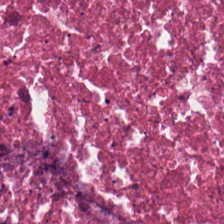WSI patch · hematoxylin and eosin · FFPE — Predominantly necrotic debris.
